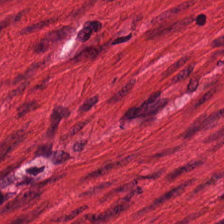Predominantly smooth-muscle tissue.
